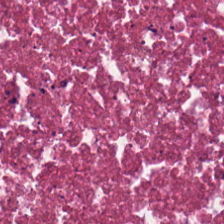Stain: hematoxylin-and-eosin stained section.
Tissue: debris.
